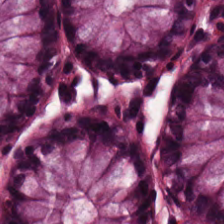Predominant tissue = normal colonic mucosa.
